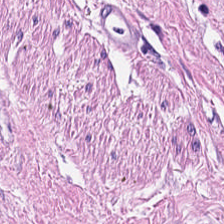H&E stain. Tissue class = smooth-muscle tissue.
